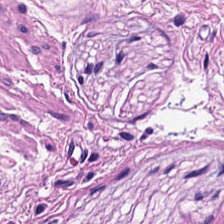{"tissue_type": "smooth-muscle tissue"}
